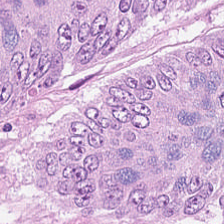Hematoxylin-and-eosin stained section. The tissue here is colorectal adenocarcinoma.
